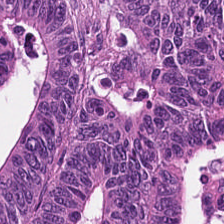Stain: H&E-stained tissue section.
Predominant tissue: malignant epithelium.
